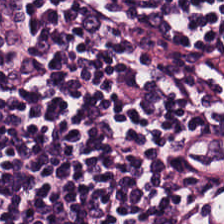H&E stain — Tissue — lymphocytic infiltrate.
